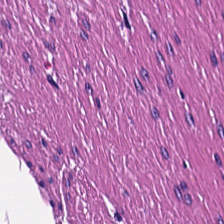0.5 µm/px · FFPE tissue section · H&E-stained tissue section — Q: What tissue is shown?
A: This is muscularis.
